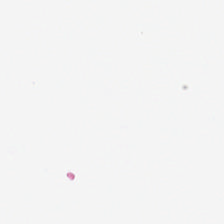Stain: hematoxylin-and-eosin stained section.
Content: background.
